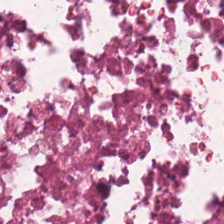Stain: H&E.
Preparation: FFPE.
Acquisition: brightfield.
Tissue class: cellular debris.
